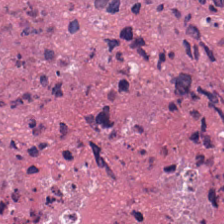The predominant tissue is necrotic debris.
